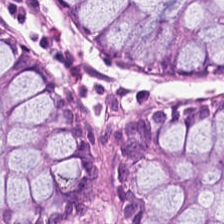H&E-stained tissue section. Finding — non-neoplastic colon mucosa.
